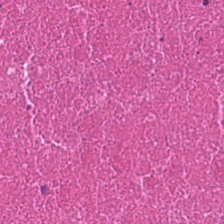Q: Identify the tissue.
A: Debris.
